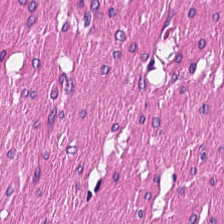{"tissue_type": "smooth-muscle tissue"}
